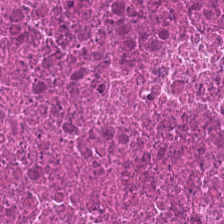Stain: H&E-stained tissue section.
Acquisition: whole-slide-image patch.
Tissue class: cellular debris.
